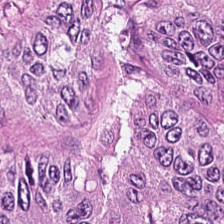FFPE tissue section. H&E stain.
Predominant tissue = colorectal adenocarcinoma epithelium.
